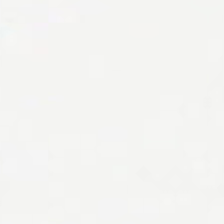Stain: H&E stain.
Content: empty background.
